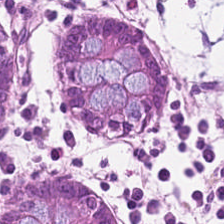Impression — normal colon mucosa.
